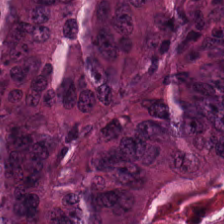Hematoxylin and eosin.
Q: Classify this patch.
A: It is adenocarcinoma.
